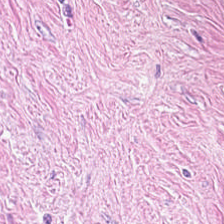Hematoxylin and eosin. Showing desmoplastic stroma.
